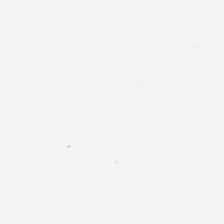Hematoxylin and eosin.
This field is background (no tissue).
